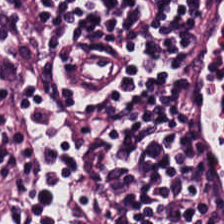Stain: hematoxylin and eosin.
Resolution: 20× equivalent magnification.
Classification: lymphocytes.
